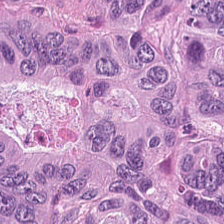Hematoxylin-and-eosin stained section. Predominantly colorectal adenocarcinoma epithelium.
